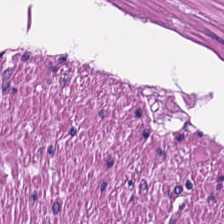Tissue type: smooth-muscle tissue.
